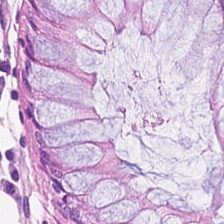Hematoxylin and eosin.
Normal colonic mucosa.
